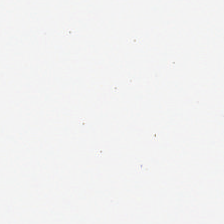Stain: hematoxylin and eosin.
Field content: empty background.
